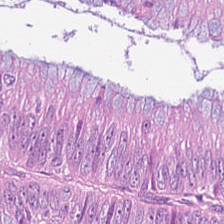Hematoxylin and eosin. This field is tumor epithelium.
